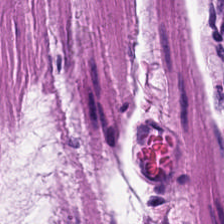Q: Identify the tissue.
A: The field shows smooth muscle.
